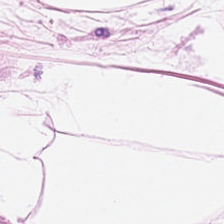H&E-stained tissue section · FFPE tissue section.
Q: What is the predominant tissue type?
A: This is adipose tissue.
